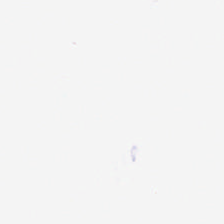Hematoxylin and eosin. This field is background (no tissue).
